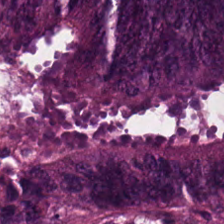H&E — The predominant tissue is adenocarcinoma.
